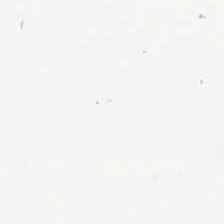This field is background (no tissue).
